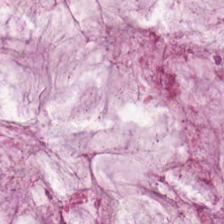H&E stain.
The predominant tissue is extracellular mucin.
